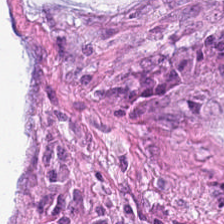H&E · formalin-fixed paraffin-embedded section. Q: What does this patch show?
A: The field shows mucus.
